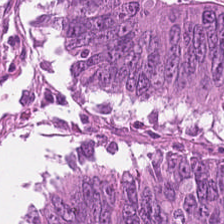Impression — colorectal adenocarcinoma.
